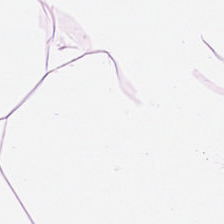H&E stain. Predominant tissue = adipose.
